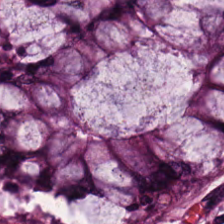Hematoxylin and eosin.
This field is normal colonic mucosa.
